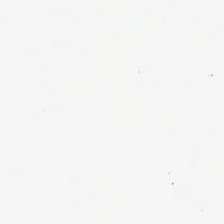Hematoxylin and eosin.
Background — no tissue in this field.
